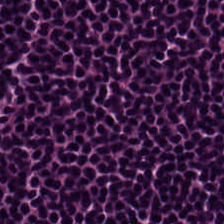H&E stain. Brightfield microscopy. Classification = lymphocytic infiltrate.
